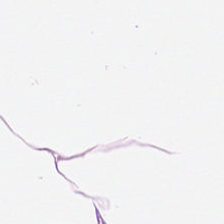H&E · formalin-fixed paraffin-embedded section · 224×224 px tile — Tissue type: adipose tissue.
